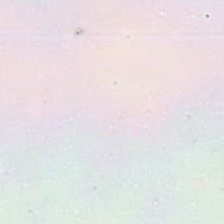H&E · FFPE tissue section · 224×224 pixel tile.
Finding — background.
